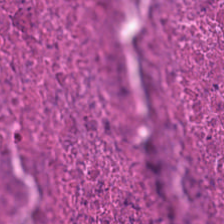Predominant tissue — cellular debris.
